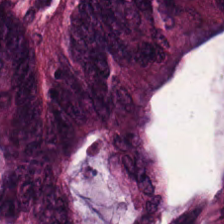H&E stain. This patch shows colorectal adenocarcinoma.
